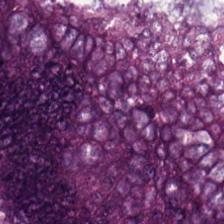H&E-stained tissue section showing tumor epithelium.
